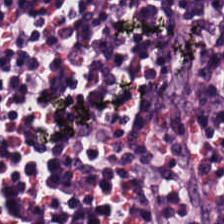Hematoxylin and eosin; brightfield microscopy. The predominant tissue is lymphoid infiltrate.
